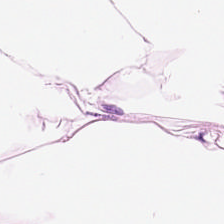Hematoxylin-and-eosin stained section; brightfield. The tissue here is adipose.
